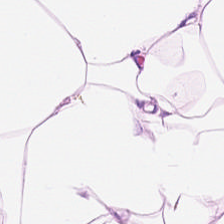H&E. The tissue type is adipose tissue.
